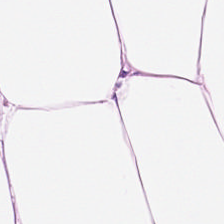H&E — adipose tissue.
